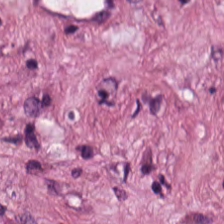FFPE tissue section. H&E. 224×224 px patch — Q: What tissue type is shown here?
A: This is cancer-associated stroma.
